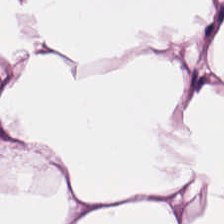H&E · 224×224 px patch — Showing adipocytes.
